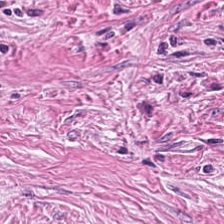Finding → tumor stroma.
